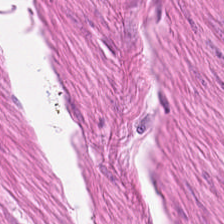H&E-stained section; the field shows smooth-muscle tissue.
